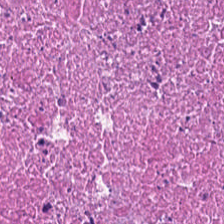H&E — Q: What is shown in this field?
A: Cellular debris.
